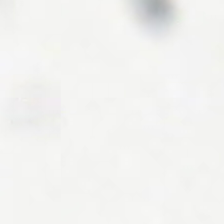H&E · FFPE.
Background — no tissue in this field.
